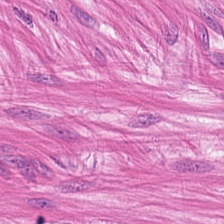H&E; 20× equivalent magnification; 224×224 px tile — Classification = smooth-muscle tissue.
